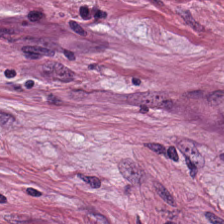Hematoxylin-and-eosin section: tumor stroma.
